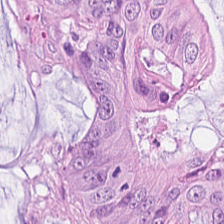H&E; 224×224 px tile; WSI patch.
Q: What is shown in this field?
A: Adenocarcinoma.
